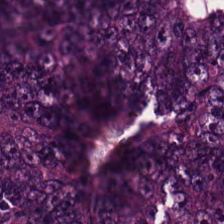0.5 µm per pixel. H&E stain. 224×224 pixel tile — Tumor epithelium.
